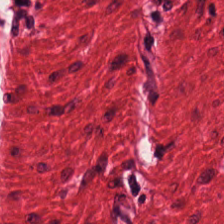Hematoxylin and eosin — Tissue class: smooth-muscle tissue.
